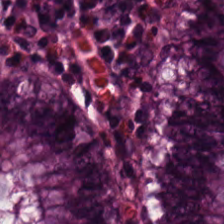H&E — non-neoplastic colon mucosa.
